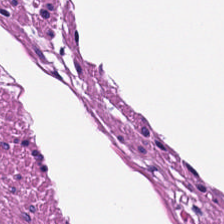Hematoxylin and eosin · whole-slide-image patch · 224×224 pixel tile — This field is smooth-muscle tissue.
